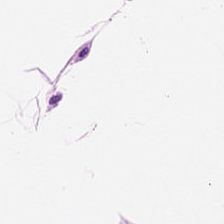Hematoxylin and eosin.
Predominantly adipose tissue.
